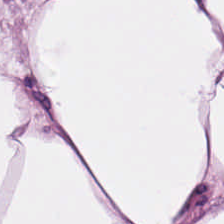Histology → adipose.
